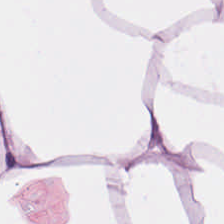H&E.
Histology → adipocytes.
